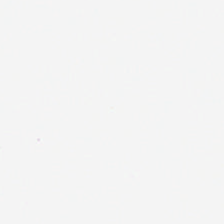Stain: H&E.
Resolution: 0.5 microns per pixel.
Preparation: FFPE tissue section.
Field content: background (no tissue).
